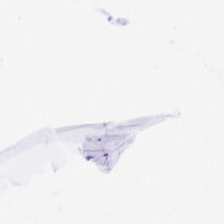FFPE · H&E-stained tissue section. Classification = background (no tissue).
